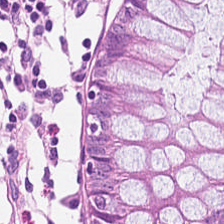H&E. Whole-slide-image patch. Formalin-fixed paraffin-embedded section. The tissue is benign colonic mucosa.
